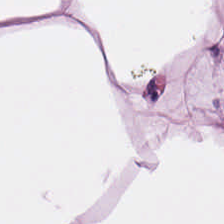Stain: H&E stain.
Predominant tissue: adipocytes.
